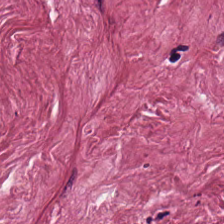Formalin-fixed paraffin-embedded section; hematoxylin and eosin — This field is cancer-associated stroma.
